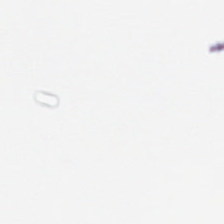FFPE tissue section; H&E. Q: Classify this patch.
A: This is background.
